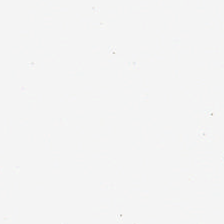224×224 pixel tile. Hematoxylin-and-eosin stained section.
Classification: background (no tissue).
